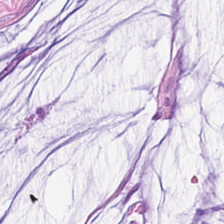Impression → mucus.
